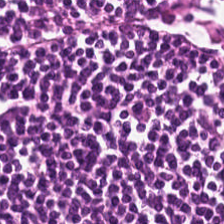Q: What is shown here?
A: It is lymphoid infiltrate.
